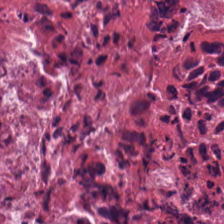H&E-stained tissue section — The classification is debris.
